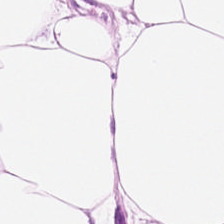H&E.
Tissue — adipocytes.
